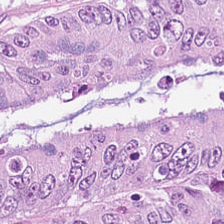Tissue type — tumor epithelium.
